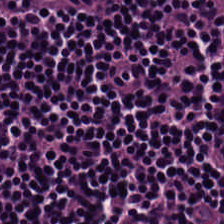Brightfield · 224×224 pixel tile · hematoxylin and eosin. The tissue here is lymphocyte aggregate.
